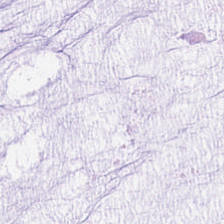Impression — extracellular mucin.
